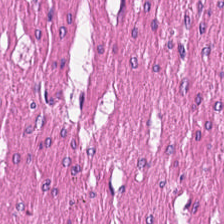H&E-stained tissue section. Histology — smooth muscle.
